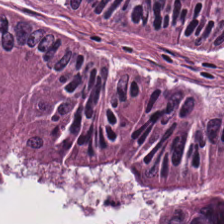Tissue class = malignant epithelium.
